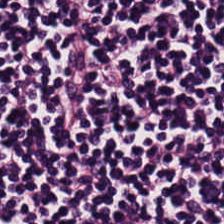Tissue type: lymphoid infiltrate.
